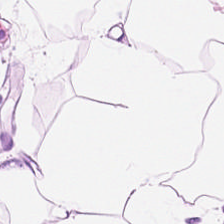H&E stain — The predominant tissue is adipose.
